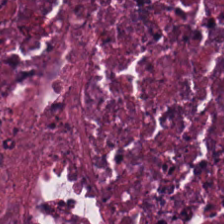H&E — Predominantly necrotic debris.
